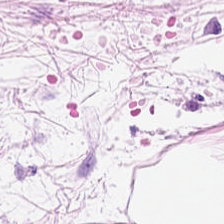H&E stain — {"tissue_type": "fat tissue"}
